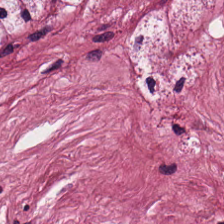Stain: H&E.
Tissue type: tumor stroma.
